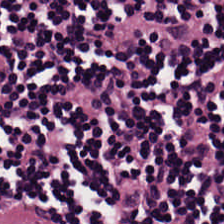224×224 px patch. Hematoxylin and eosin.
Predominant tissue — lymphoid infiltrate.
